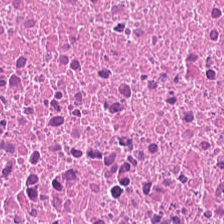H&E patch showing debris.
